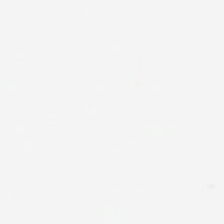H&E stain.
Empty field — background (no tissue).
